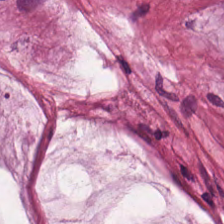Hematoxylin and eosin. Q: What is shown here?
A: The field shows extracellular mucin.
